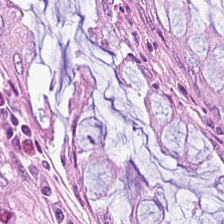H&E stain. FFPE. The predominant tissue is normal colonic mucosa.
